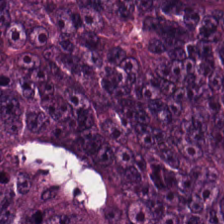Hematoxylin and eosin. This patch shows tumor epithelium.
